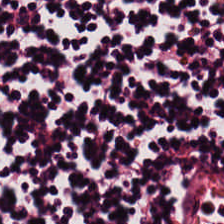Q: Identify the tissue.
A: This is lymphocytic infiltrate.
